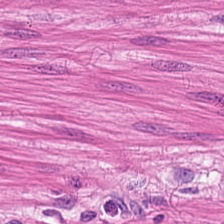Q: What does this patch show?
A: The field shows smooth muscle.
